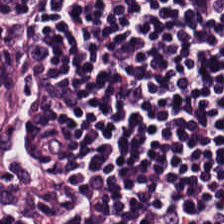This field is lymphocytes.
